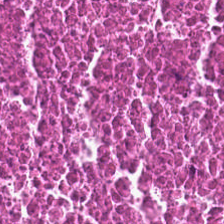Hematoxylin-and-eosin stained section — This field is debris.
